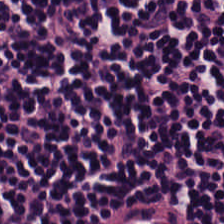Hematoxylin-and-eosin stained section — Q: What type of tissue is this?
A: The field shows lymphocytic infiltrate.
